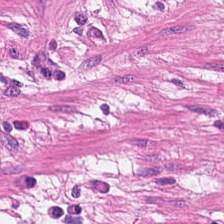H&E stain — This field is smooth muscle.
